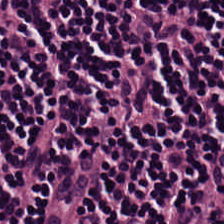Stain: hematoxylin and eosin.
Classification: lymphocyte aggregate.
